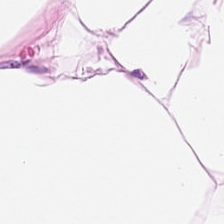Stain: hematoxylin and eosin.
Resolution: 0.5 µm/px.
Classification: adipose.
